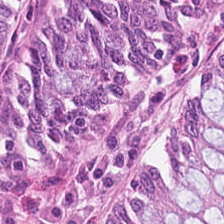224×224 pixel tile. Hematoxylin-and-eosin stained section. FFPE. The tissue type is normal colonic mucosa.
